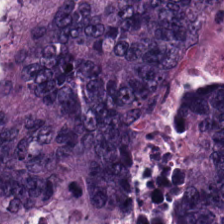Whole-slide-image patch; 224×224 px tile; H&E-stained tissue section.
The classification is adenocarcinoma.
